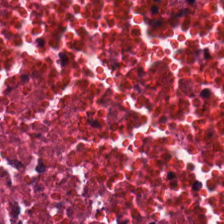Stain: H&E-stained tissue section.
Tissue: debris.
